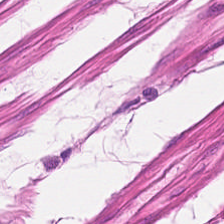This field is smooth-muscle tissue.
